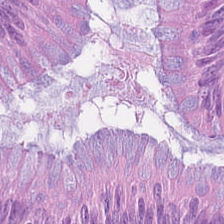Tissue — colorectal adenocarcinoma epithelium.
